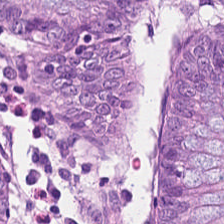H&E stain — Predominantly normal colon mucosa.
